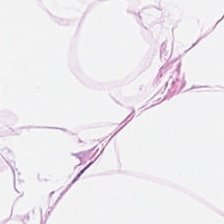Classification — adipose.
